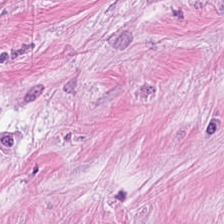0.5 microns per pixel. Hematoxylin-and-eosin stained section. Formalin-fixed paraffin-embedded section. {"tissue_type": "tumor stroma"}
